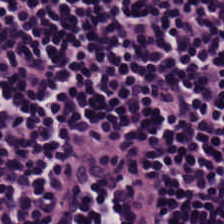H&E patch showing lymphocyte aggregate.
